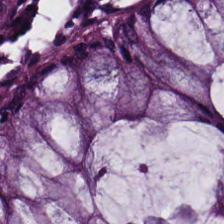Stain: hematoxylin and eosin.
Tissue: normal colonic mucosa.
